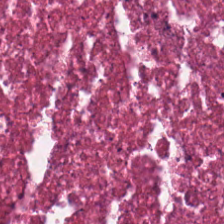Stain: H&E.
Tissue type: debris.
